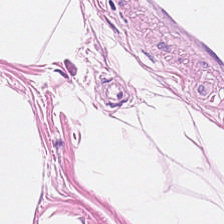FFPE; H&E — The predominant tissue is adipose tissue.
